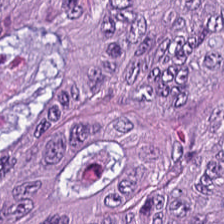Whole-slide-image patch · hematoxylin-and-eosin stained section — The predominant tissue is tumor epithelium.
